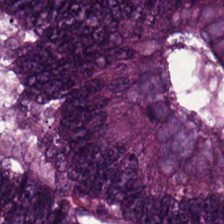Stain: H&E-stained tissue section.
Tissue: tumor epithelium.
